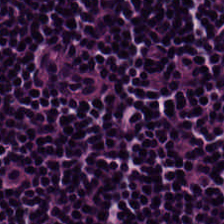Stain: H&E-stained tissue section.
Tile size: 224×224 pixel tile.
Preparation: FFPE.
Tissue type: lymphocytes.
